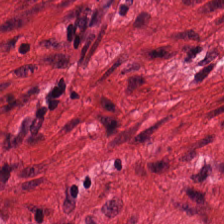Tissue: smooth muscle.
